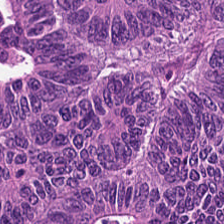Tissue type — colorectal adenocarcinoma epithelium.
